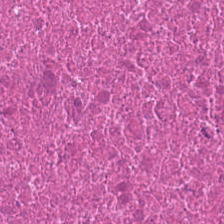H&E stain — Q: Classify this patch.
A: This is cellular debris.
